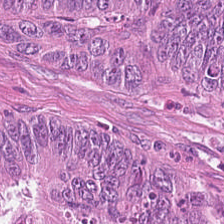Q: What type of tissue is this?
A: This is colorectal adenocarcinoma epithelium.
